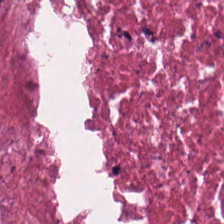0.5 µm/px. H&E-stained tissue section. Q: Identify the tissue.
A: It is cellular debris.
